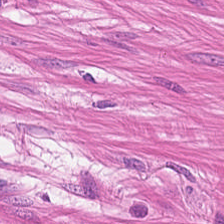Brightfield. H&E.
Q: What is shown here?
A: Smooth-muscle tissue.
